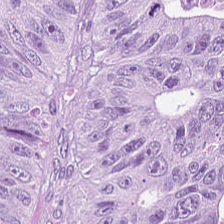{"tissue_type": "malignant epithelium"}
